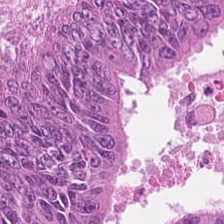H&E.
Q: Classify this patch.
A: Malignant epithelium.
